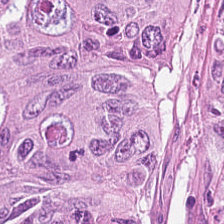{"tissue_type": "malignant epithelium"}
